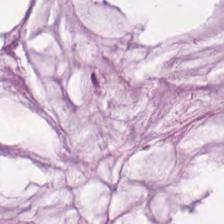H&E-stained tissue section. Q: What is shown here?
A: It is mucin.
